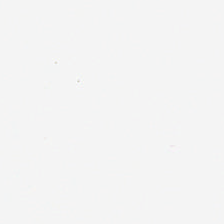0.5 µm per pixel · H&E.
This field is background (no tissue).
